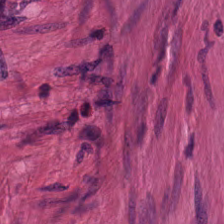The tissue here is muscularis.
